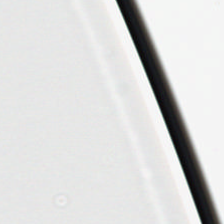{"content": "no tissue"}
